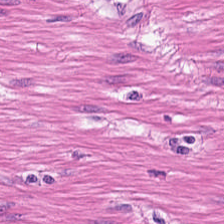Classification — smooth-muscle tissue.
